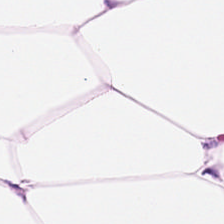Hematoxylin-and-eosin stained section — Tissue type — fat tissue.
